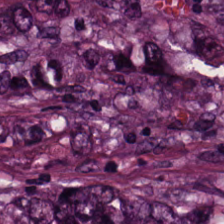Formalin-fixed paraffin-embedded section; hematoxylin and eosin.
Adenocarcinoma.
